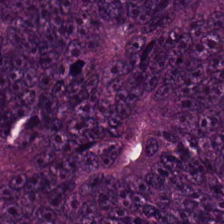Hematoxylin and eosin. Tissue class = malignant epithelium.
